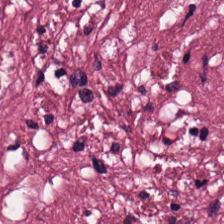0.5 µm per pixel · FFPE tissue section · H&E stain. Predominant tissue — cancer-associated stroma.
